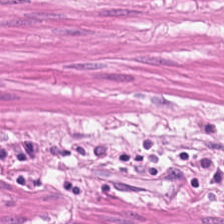Brightfield microscopy · 0.5 microns per pixel · hematoxylin and eosin.
The predominant tissue is muscularis.
